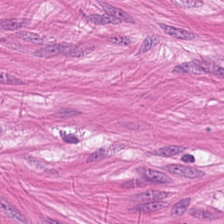Q: What tissue type is shown here?
A: This is smooth muscle.
